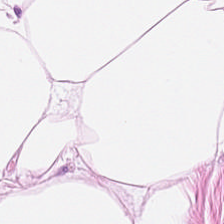Q: What type of tissue is this?
A: This is fat tissue.
